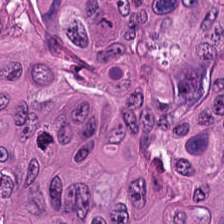Hematoxylin and eosin — Adenocarcinoma.
